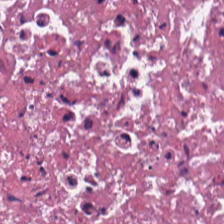Impression — cellular debris.
